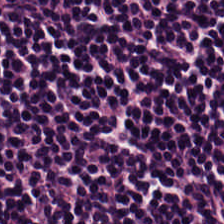Hematoxylin-and-eosin stained section.
Lymphocyte aggregate.
